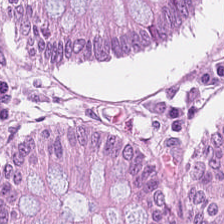Stain: hematoxylin and eosin.
Tissue type: non-neoplastic colon mucosa.
